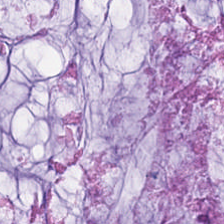Hematoxylin-and-eosin stained section.
This patch shows mucin.
